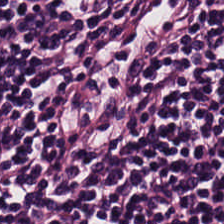Brightfield. H&E.
Classification: lymphocytes.
